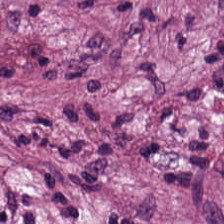H&E stain. 224×224 px tile — Q: What tissue is shown?
A: This is tumor-associated stroma.
